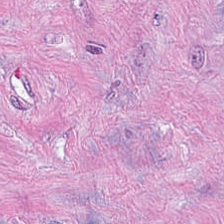Stain: hematoxylin and eosin.
Tissue type: desmoplastic stroma.
